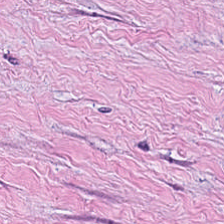Hematoxylin and eosin. Predominantly cancer-associated stroma.
